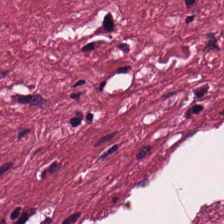H&E. Tissue class: tumor stroma.
